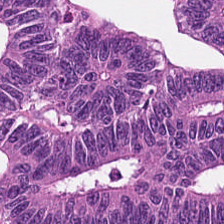Q: What tissue type is shown here?
A: It is colorectal adenocarcinoma.
